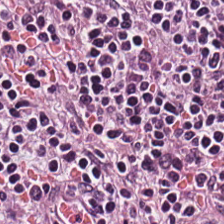Brightfield; H&E stain. Showing lymphocytic infiltrate.
